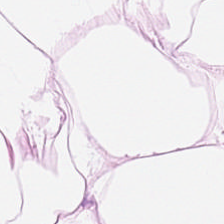H&E; whole-slide-image patch.
This patch shows fat tissue.
